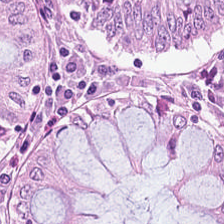Stain: hematoxylin-and-eosin stained section.
Predominant tissue: normal colon mucosa.
